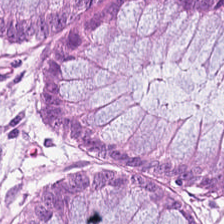Predominant tissue — normal colon mucosa.
